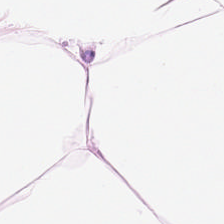Stain: H&E stain.
Tissue type: adipocytes.
